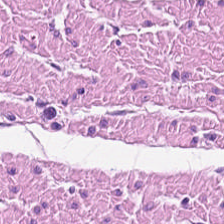224×224 pixel tile; H&E-stained tissue section.
The predominant tissue is smooth muscle.
